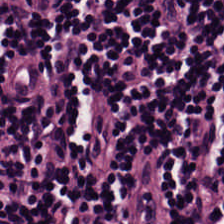224×224 px patch; hematoxylin and eosin; whole-slide-image patch.
Impression → lymphocytes.
